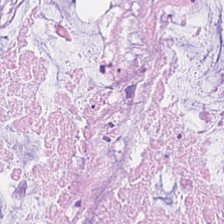Hematoxylin and eosin; formalin-fixed paraffin-embedded section; 0.5 µm/px — The tissue here is mucin.
